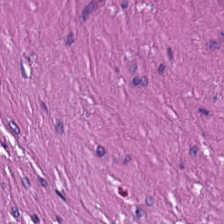H&E-stained tissue section. 224×224 pixel tile.
This patch shows smooth-muscle tissue.
